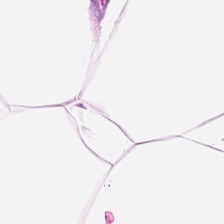FFPE tissue section. H&E stain. This patch shows adipose.
